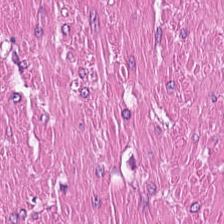H&E. 224×224 px tile. WSI patch. Q: What does this patch show?
A: Smooth-muscle tissue.
